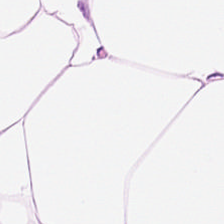H&E stain. The classification is adipose tissue.
